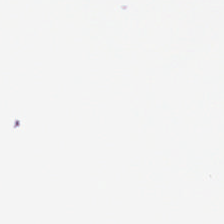Hematoxylin and eosin. Formalin-fixed paraffin-embedded section — This patch shows background (no tissue).
